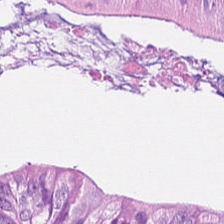Hematoxylin-and-eosin stained section — Tissue — colorectal adenocarcinoma epithelium.
